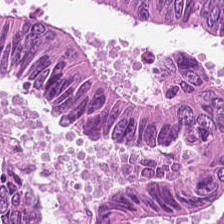Stain: H&E-stained tissue section.
Tile size: 224×224 px tile.
Tissue class: colorectal adenocarcinoma.
